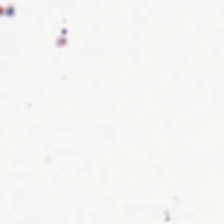Hematoxylin-and-eosin stained section — Finding — background.
